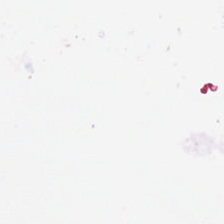H&E.
Histology → background.
